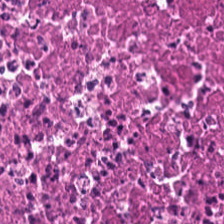H&E — necrotic debris.
